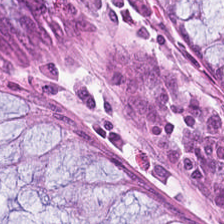H&E stain — Predominantly normal colon mucosa.
